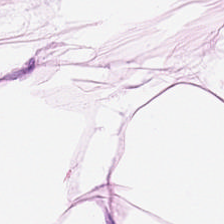Formalin-fixed paraffin-embedded section · WSI patch · H&E stain.
The predominant tissue is adipose.
